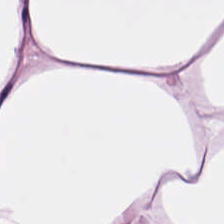Tissue class = adipose tissue.
